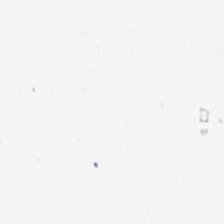Whole-slide-image patch · H&E-stained tissue section.
Empty field — empty background.
